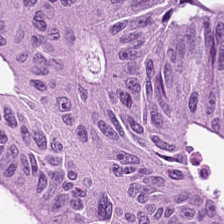Classification — tumor epithelium.
